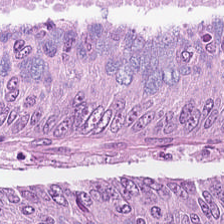FFPE tissue section; brightfield; hematoxylin and eosin.
Tissue class — colorectal adenocarcinoma epithelium.
